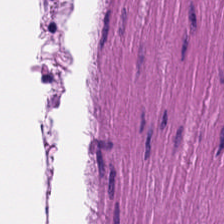The tissue is smooth muscle.
